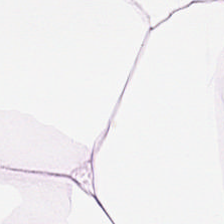H&E.
Q: What is shown in this field?
A: The field shows adipose tissue.
